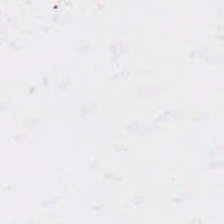H&E · 0.5 microns per pixel — {"content": "background (no tissue)"}
